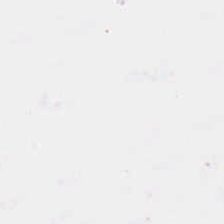Stain: hematoxylin and eosin.
Field content: background.
